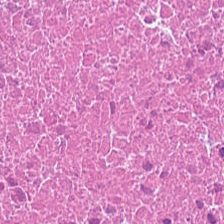0.5 µm per pixel. H&E stain. The tissue class is debris.
